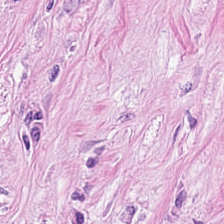Hematoxylin and eosin — This field is tumor stroma.
